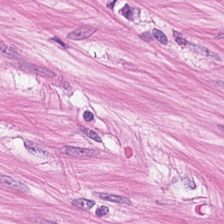224×224 px tile; H&E.
{"tissue_type": "smooth-muscle tissue"}
